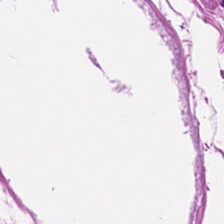Tissue: smooth muscle.
